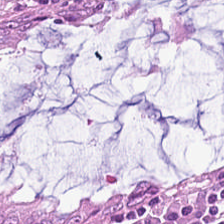Q: Classify this patch.
A: Benign colonic mucosa.
